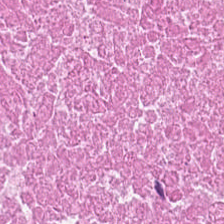H&E. Tissue = debris.
